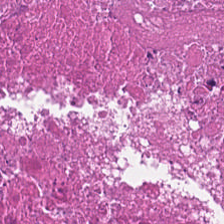Stain: H&E-stained tissue section.
Tissue class: debris.
